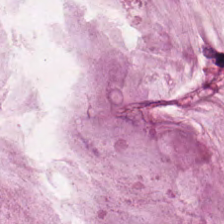H&E; brightfield microscopy.
The classification is mucin.
